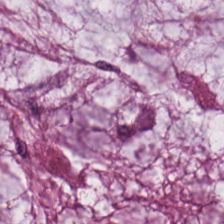H&E. Tissue class: mucus.
